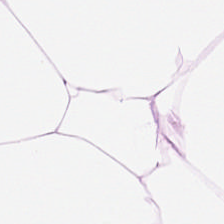H&E stain. Q: Classify this patch.
A: This is adipose tissue.
